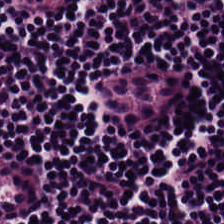Lymphoid infiltrate.
